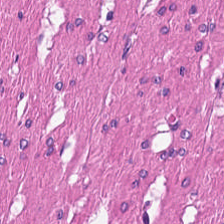H&E stain — Q: What does this patch show?
A: The field shows smooth muscle.
